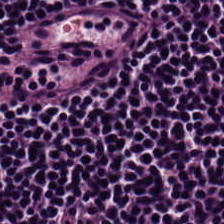Hematoxylin and eosin.
Histology — lymphocytes.
